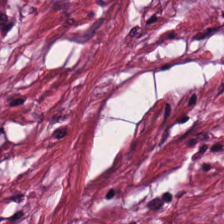Brightfield microscopy; hematoxylin-and-eosin stained section; 224×224 px tile. This field is tumor stroma.
